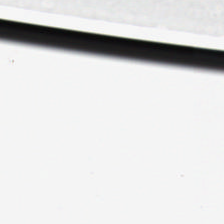{"content": "no tissue"}
